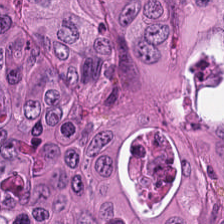{"tissue_type": "tumor epithelium"}
